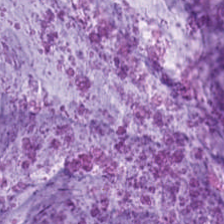0.5 µm per pixel; H&E-stained tissue section.
Predominant tissue: mucin.
